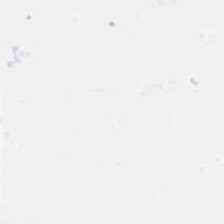H&E. This field is background (no tissue).
